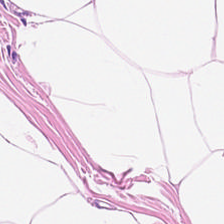0.5 microns per pixel. Hematoxylin-and-eosin stained section. Brightfield microscopy.
Adipose.
